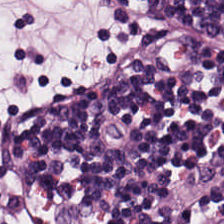Stain: H&E.
Classification: lymphocytic infiltrate.
